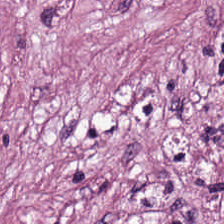H&E stain · 224×224 px patch — Tissue class: desmoplastic stroma.
